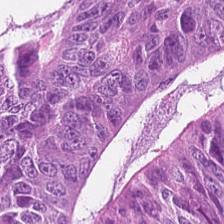This patch shows colorectal adenocarcinoma.
